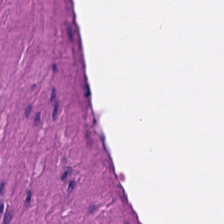H&E-stained tissue section — Q: What does this patch show?
A: It is muscularis.
